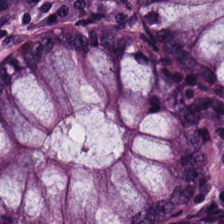H&E-stained tissue section — Impression → benign colonic mucosa.
